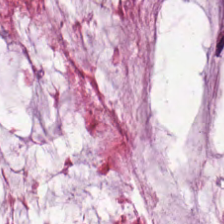224×224 px patch · hematoxylin and eosin — The tissue here is mucin.
